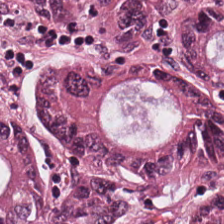H&E. The predominant tissue is adenocarcinoma.
